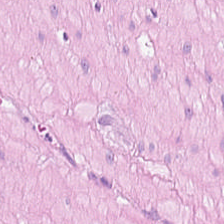H&E stain; 20× equivalent magnification; 224×224 px patch — Predominant tissue — muscularis.
